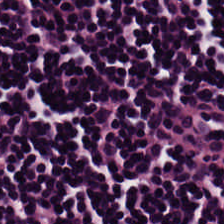Histology — lymphoid infiltrate.
